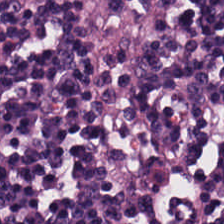Stain: H&E.
Classification: lymphocytic infiltrate.
